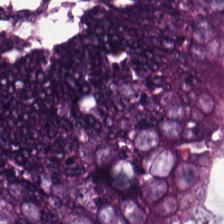Brightfield microscopy; H&E.
Q: What is the predominant tissue type?
A: This is tumor epithelium.
